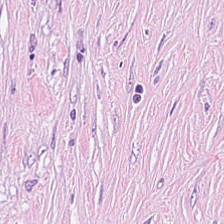Hematoxylin and eosin — Predominantly tumor-associated stroma.
